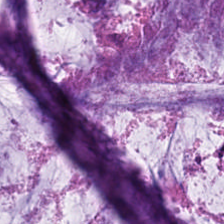Stain: H&E stain.
Tissue: mucin.
